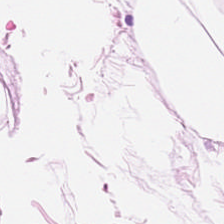H&E stain. Adipocytes.
